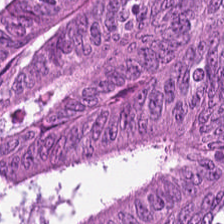Hematoxylin-and-eosin stained section — {"tissue_type": "malignant epithelium"}
